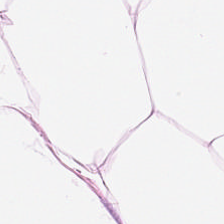Hematoxylin and eosin. Predominant tissue — adipose.
